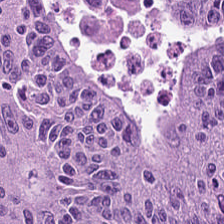Hematoxylin-and-eosin stained section. Classification: adenocarcinoma.
